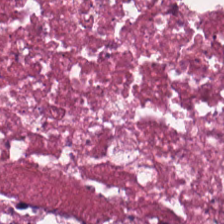Stain: H&E.
Tissue type: necrotic debris.
